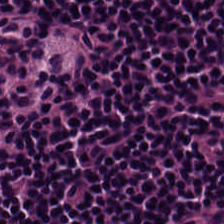Predominant tissue: lymphocytic infiltrate.
